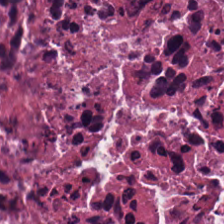H&E stain; brightfield microscopy; 0.5 µm per pixel — Showing cellular debris.
